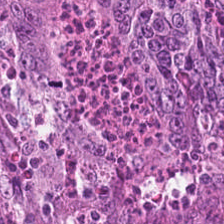H&E — colorectal adenocarcinoma epithelium.
